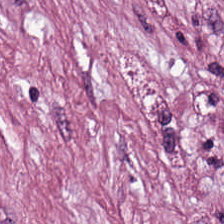224×224 pixel tile · H&E stain. Showing desmoplastic stroma.
